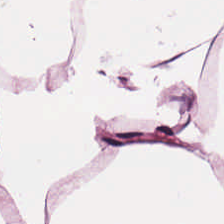Q: What tissue type is shown here?
A: The field shows fat tissue.
